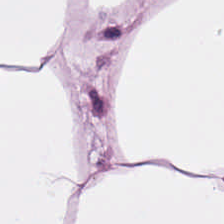H&E-stained tissue section — Q: What is shown here?
A: Fat tissue.
